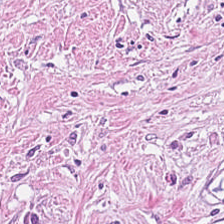Q: Classify this patch.
A: It is desmoplastic stroma.
